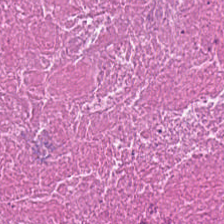Stain: hematoxylin-and-eosin stained section.
Tissue: cellular debris.
